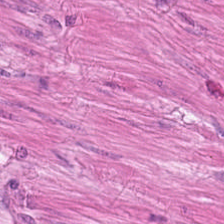H&E stain · 0.5 µm/px · whole-slide-image patch. The tissue is smooth-muscle tissue.
